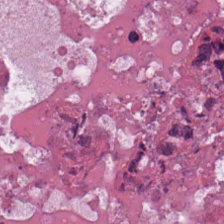Hematoxylin and eosin · formalin-fixed paraffin-embedded section · whole-slide-image patch.
Predominantly debris.
